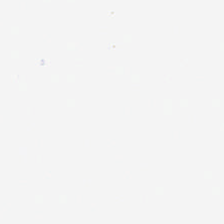H&E stain. Formalin-fixed paraffin-embedded section. Background (no tissue).
